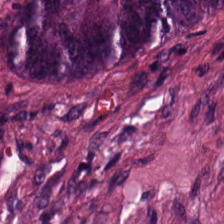H&E stain. 224×224 pixel tile. FFPE — The tissue type is colorectal adenocarcinoma epithelium.
